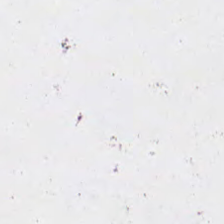224×224 px patch · H&E stain — Classification: no tissue.
